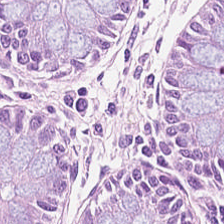H&E — This patch shows normal colon mucosa.
